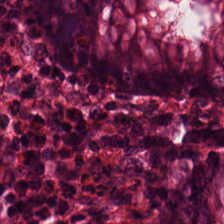Hematoxylin-and-eosin stained section — Classification = normal colon mucosa.
